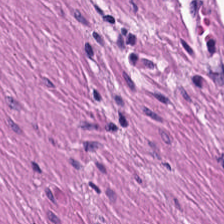H&E. Classification — muscularis.
